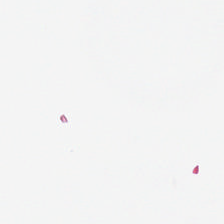Q: What does this patch show?
A: It is no tissue.
